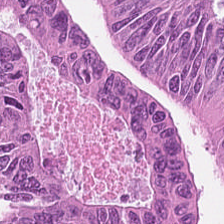Hematoxylin-and-eosin stained section.
The tissue here is colorectal adenocarcinoma.
